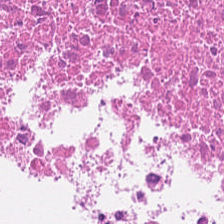20× equivalent magnification · H&E — Impression — cellular debris.
